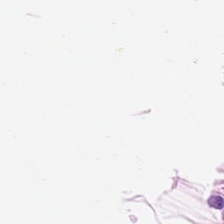H&E-stained tissue section.
Fat tissue.
